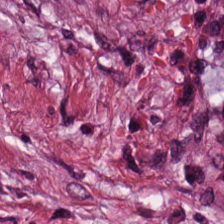Hematoxylin-and-eosin stained section. 0.5 microns per pixel.
This field is desmoplastic stroma.
